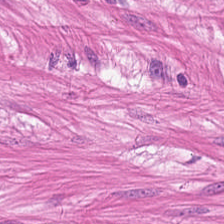Q: What does this patch show?
A: This is muscularis.
